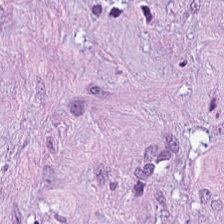H&E stain.
The tissue is cancer-associated stroma.
